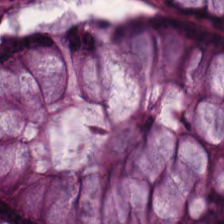Tissue class — non-neoplastic colon mucosa.
